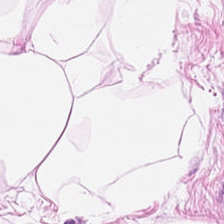H&E stain · FFPE tissue section.
Q: What tissue type is shown here?
A: The field shows adipose.
